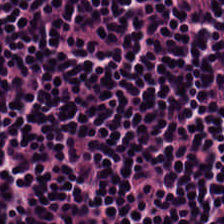{"tissue_type": "lymphoid infiltrate"}
